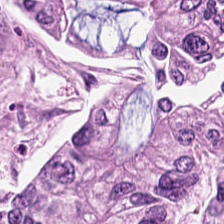Hematoxylin and eosin. The tissue class is tumor epithelium.
